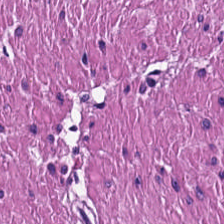Hematoxylin-and-eosin stained section.
Predominant tissue: muscularis.
